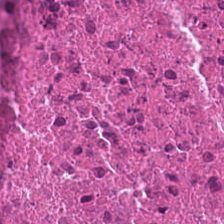H&E. 20× equivalent magnification — The tissue class is debris.
